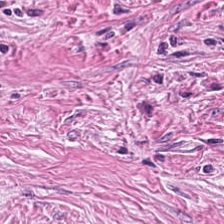Showing tumor-associated stroma.
